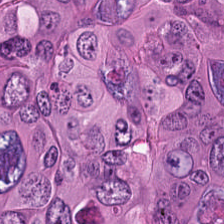H&E. Tissue type: malignant epithelium.
